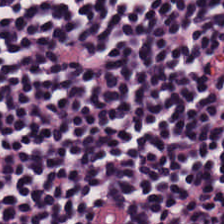Stain: hematoxylin-and-eosin stained section.
Acquisition: brightfield.
Preparation: formalin-fixed paraffin-embedded section.
Classification: lymphocytes.
